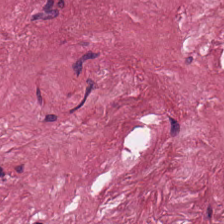H&E-stained tissue section.
Q: What is shown in this field?
A: The field shows cancer-associated stroma.
